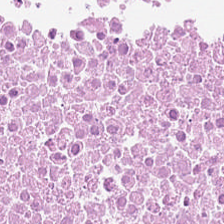Impression — debris.
